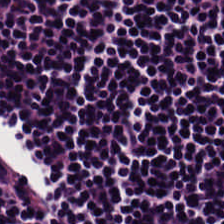H&E-stained tissue section. This patch shows lymphocytes.
